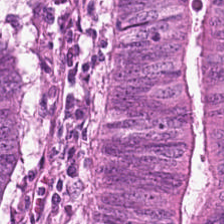This patch shows tumor epithelium.
